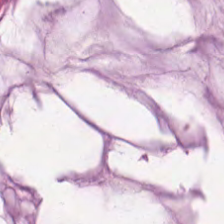224×224 px tile; hematoxylin-and-eosin stained section — This patch shows mucus.
